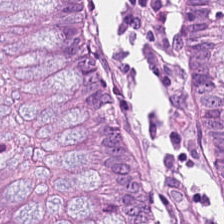H&E-stained tissue section — This field is benign colonic mucosa.
